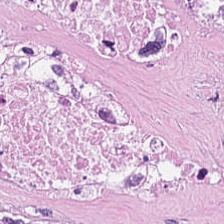This patch shows debris.
